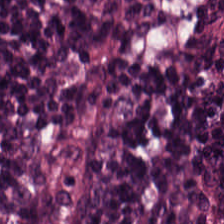H&E-stained tissue section. This patch shows lymphocytes.
